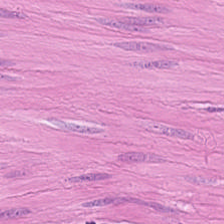Stain: H&E-stained tissue section.
Classification: smooth muscle.
